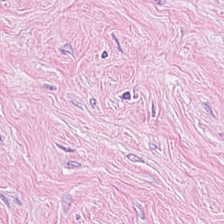Predominantly tumor-associated stroma.
